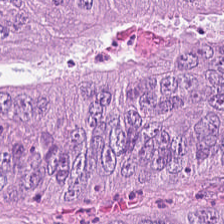The classification is tumor epithelium.
